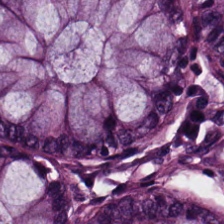Q: Classify this patch.
A: It is normal colonic mucosa.
